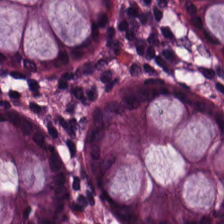224×224 px tile. FFPE tissue section. Hematoxylin and eosin. Tissue = benign colonic mucosa.
